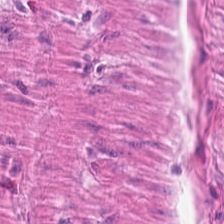Stain: hematoxylin-and-eosin stained section.
Tile size: 224×224 px patch.
Preparation: FFPE tissue section.
Tissue class: muscularis.
